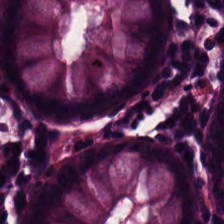Hematoxylin and eosin. 224×224 pixel tile — Predominant tissue: non-neoplastic colon mucosa.
